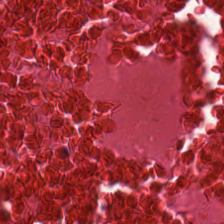Hematoxylin and eosin.
Predominant tissue: necrotic debris.
